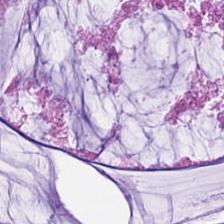Hematoxylin and eosin. FFPE.
Predominantly extracellular mucin.
